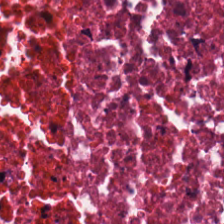Hematoxylin-and-eosin stained section.
Q: What tissue is shown?
A: The field shows cellular debris.
